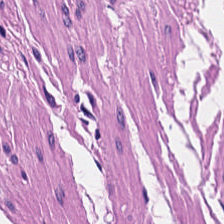H&E-stained tissue section. 0.5 µm/px. Classification: smooth muscle.
